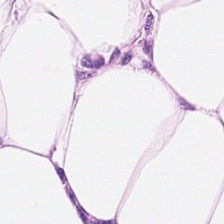H&E-stained tissue section. Finding — adipocytes.
